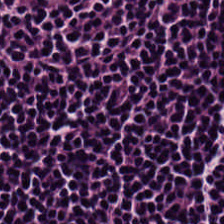Stain: hematoxylin and eosin.
Predominant tissue: lymphocytes.
